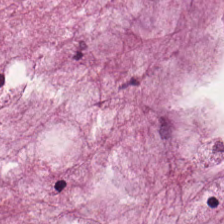Hematoxylin-and-eosin stained section — Predominantly extracellular mucin.
